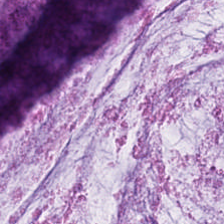Stain: H&E.
Preparation: FFPE tissue section.
Acquisition: brightfield microscopy.
Tissue type: extracellular mucin.
